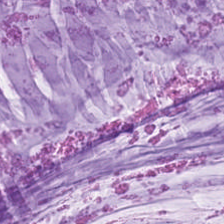H&E-stained tissue section showing mucus.
